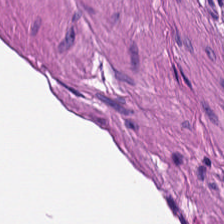The tissue class is muscularis.
